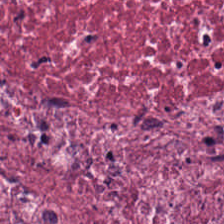H&E stain.
Tissue: cancer-associated stroma.
